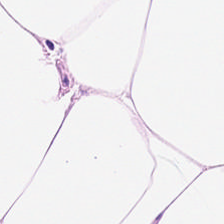H&E — adipose tissue.
